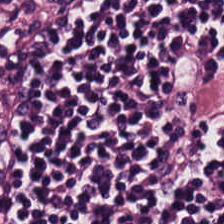H&E-stained tissue section.
Classification = lymphocytic infiltrate.
